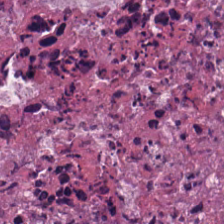H&E-stained tissue section showing debris.
